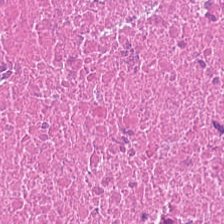H&E-stained tissue section.
Tissue class = debris.
